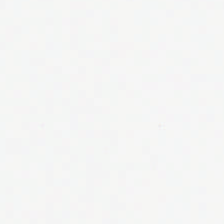Hematoxylin and eosin; 224×224 pixel tile — Histology → no tissue.
